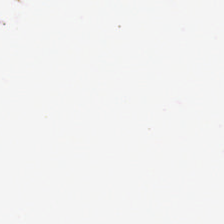224×224 px tile; formalin-fixed paraffin-embedded section; hematoxylin and eosin. Q: What does this patch show?
A: The field shows empty background.
